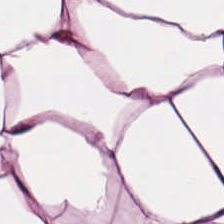Stain: H&E stain.
Tile size: 224×224 px patch.
Tissue type: adipose tissue.
